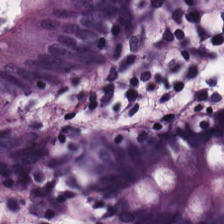Stain: H&E stain.
Tissue class: non-neoplastic colon mucosa.
